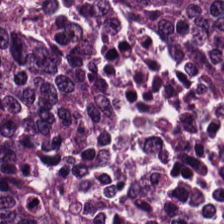Stain: H&E stain.
Tissue type: colorectal adenocarcinoma.
